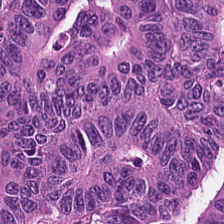This field is malignant epithelium.
